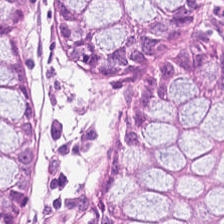Classification = benign colonic mucosa.
